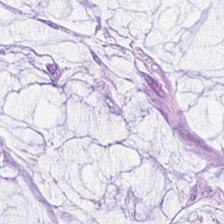Formalin-fixed paraffin-embedded section · brightfield microscopy · H&E stain.
Tissue type = mucin.
